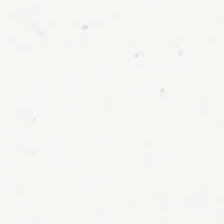WSI patch; H&E stain.
This patch shows background (no tissue).
